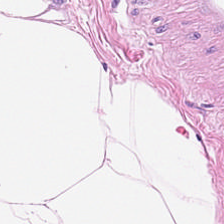Stain: H&E.
Acquisition: brightfield microscopy.
Predominant tissue: adipose tissue.
